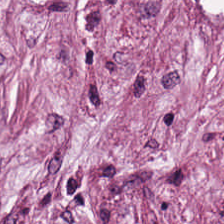Hematoxylin and eosin. Finding → tumor stroma.
